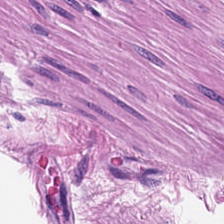H&E · brightfield microscopy. Showing smooth muscle.
